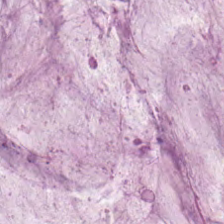0.5 µm/px. Hematoxylin and eosin.
Showing mucin.
